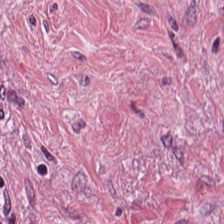Hematoxylin-and-eosin section: tumor stroma.
